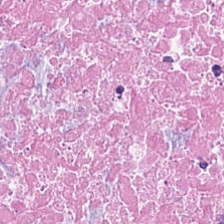Tissue type: debris.
